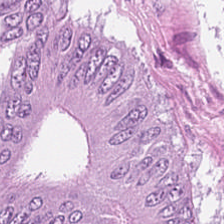224×224 pixel tile · brightfield microscopy · H&E-stained tissue section — This patch shows adenocarcinoma.
